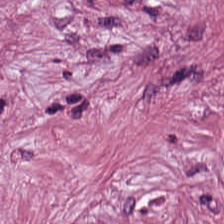Q: What does this patch show?
A: Desmoplastic stroma.
